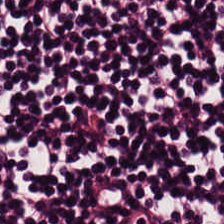Hematoxylin-and-eosin stained section — This field is lymphocyte aggregate.
